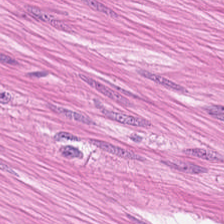FFPE tissue section. Hematoxylin and eosin. Tissue class — smooth-muscle tissue.
